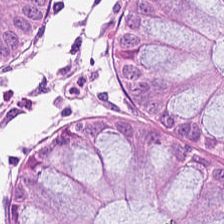The predominant tissue is non-neoplastic colon mucosa.
